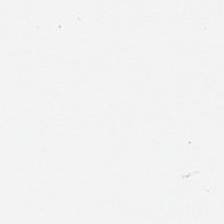H&E. Content = background.
